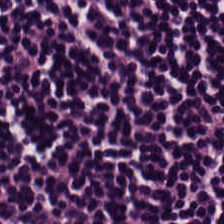20× equivalent magnification. Hematoxylin-and-eosin stained section — Q: What is shown here?
A: This is lymphoid infiltrate.
